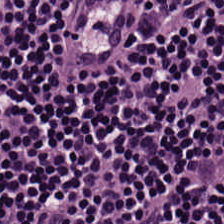Showing lymphocytes.
